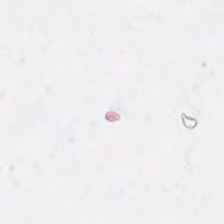Hematoxylin and eosin — Empty field — background.
